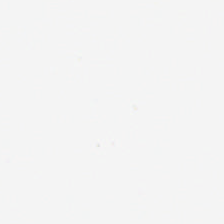Background.
